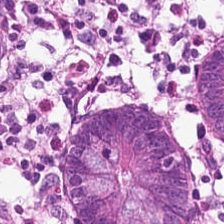Hematoxylin and eosin; 0.5 µm per pixel — The predominant tissue is normal colon mucosa.
